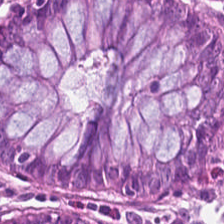224×224 px tile. H&E-stained tissue section. 0.5 microns per pixel.
This patch shows normal colon mucosa.
